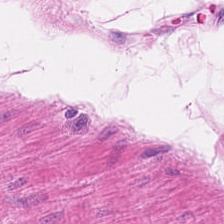Q: What tissue type is shown here?
A: It is smooth-muscle tissue.
